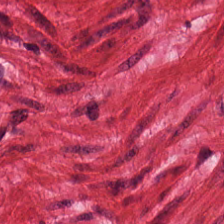FFPE; 224×224 pixel tile; hematoxylin-and-eosin stained section.
Showing muscularis.
